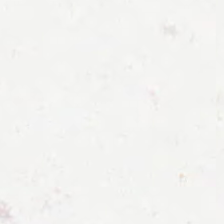Stain: H&E.
Preparation: FFPE tissue section.
Tile size: 224×224 px patch.
Content: empty background.
